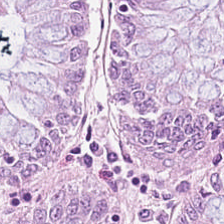H&E.
{"tissue_type": "normal colon mucosa"}
